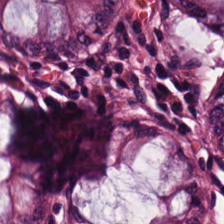Hematoxylin and eosin.
Finding → normal colonic mucosa.
